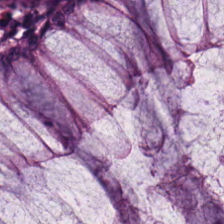H&E-stained tissue section — Q: Identify the tissue.
A: It is benign colonic mucosa.
